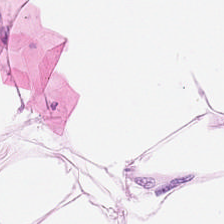Hematoxylin-and-eosin stained section. This field is adipose.
